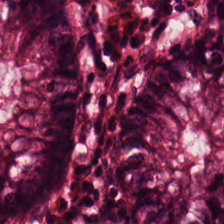FFPE tissue section; 224×224 px tile; hematoxylin-and-eosin stained section — Q: Classify this patch.
A: It is non-neoplastic colon mucosa.
